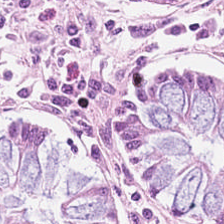H&E-stained tissue section. {"tissue_type": "non-neoplastic colon mucosa"}
